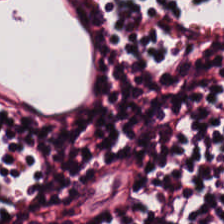Hematoxylin-and-eosin stained section; brightfield.
The tissue class is lymphocytic infiltrate.
